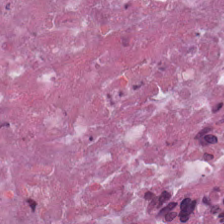Hematoxylin-and-eosin stained section · WSI patch — This field is debris.
